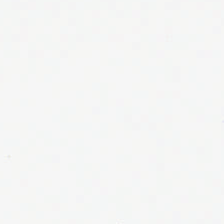Empty field — empty background.
